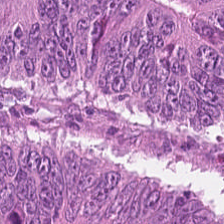224×224 pixel tile. Hematoxylin-and-eosin stained section.
Q: Classify this patch.
A: The field shows colorectal adenocarcinoma.
